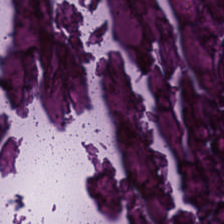This field is cellular debris.
